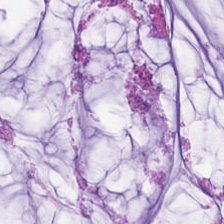Hematoxylin-and-eosin stained section; 0.5 microns per pixel — Tissue = extracellular mucin.
